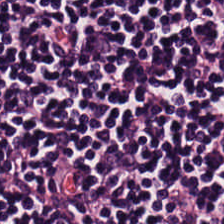H&E stain. Tissue type — lymphocyte aggregate.
